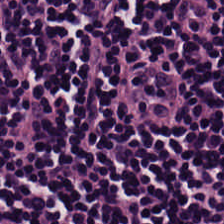0.5 µm/px; H&E stain — {"tissue_type": "lymphoid infiltrate"}
